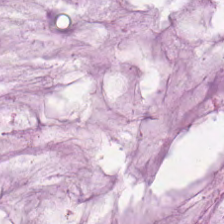H&E · brightfield microscopy.
Predominantly extracellular mucin.
